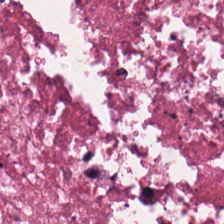H&E-stained tissue section — This patch shows necrotic debris.
